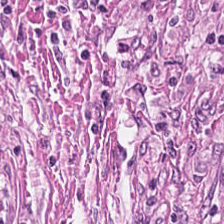Brightfield. Hematoxylin-and-eosin stained section — This field is cancer-associated stroma.
